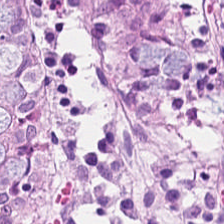H&E-stained tissue section.
Predominant tissue = non-neoplastic colon mucosa.
